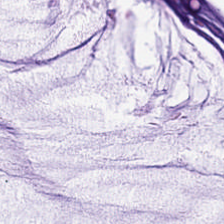H&E-stained tissue section showing mucus.
